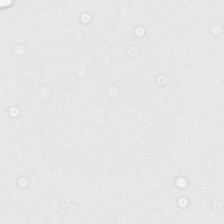Histology — empty background.
